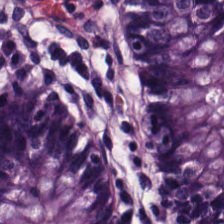H&E. 224×224 px patch.
Predominantly non-neoplastic colon mucosa.
